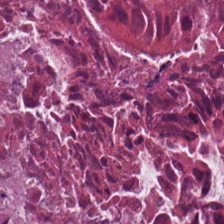0.5 µm per pixel. H&E stain. This field is cellular debris.
